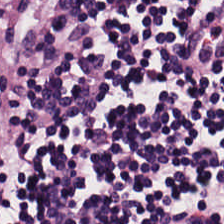Brightfield; hematoxylin and eosin. The predominant tissue is lymphoid infiltrate.
